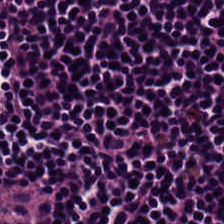Predominant tissue = lymphocytes.
